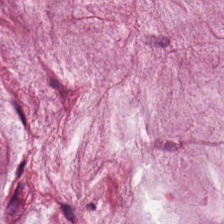Brightfield · H&E-stained tissue section.
Finding — extracellular mucin.
